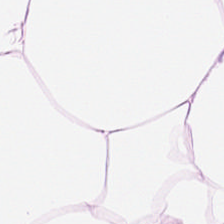H&E-stained tissue section. This field is adipose.
